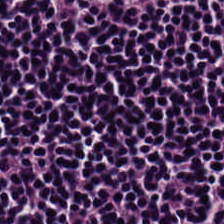H&E-stained tissue section. Classification — lymphocytes.
